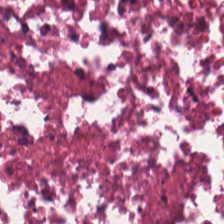Hematoxylin-and-eosin stained section.
Predominant tissue = debris.
